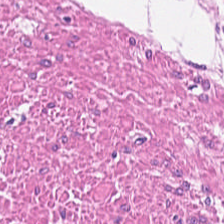H&E stain.
Classification = smooth-muscle tissue.
